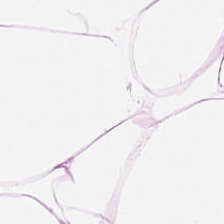H&E. 20× equivalent magnification.
Predominantly fat tissue.
